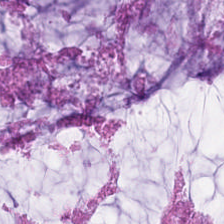Q: Identify the tissue.
A: Mucus.
